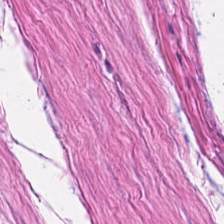224×224 pixel tile · H&E stain. {"tissue_type": "muscularis"}
